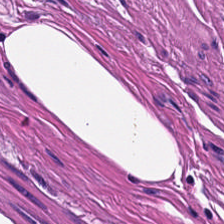Hematoxylin and eosin — This patch shows smooth-muscle tissue.
